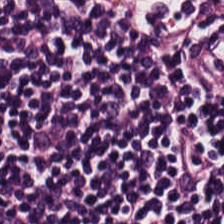Tissue type = lymphocytic infiltrate.
